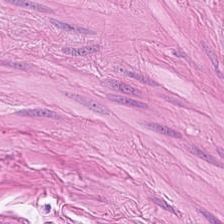Stain: H&E stain.
Tissue class: muscularis.
